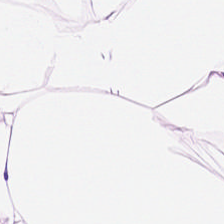H&E stain.
Tissue: fat tissue.
